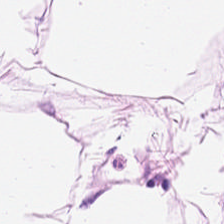Q: What does this patch show?
A: Adipose.
